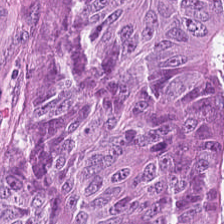Hematoxylin-and-eosin stained section — {"tissue_type": "colorectal adenocarcinoma"}
